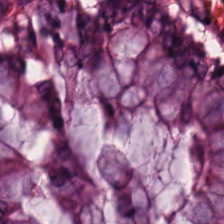This field is normal colonic mucosa.
